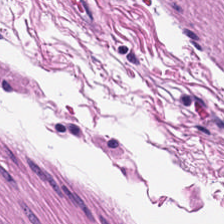H&E-stained tissue section.
Smooth muscle.
